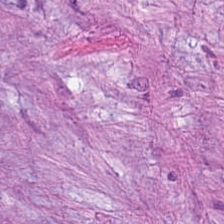H&E. Brightfield microscopy — Q: What does this patch show?
A: Desmoplastic stroma.
